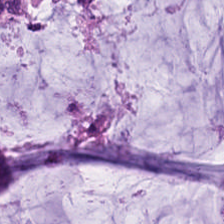H&E. Formalin-fixed paraffin-embedded section. Brightfield microscopy. Finding → mucus.
